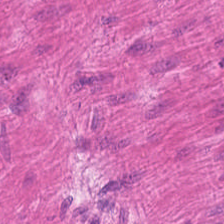Hematoxylin and eosin; brightfield microscopy — Predominant tissue: smooth-muscle tissue.
